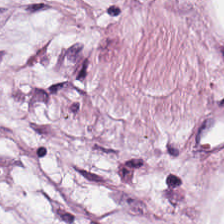H&E.
Histology — adipose tissue.
